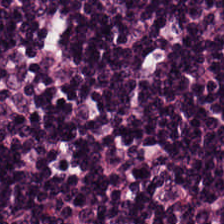H&E-stained tissue section. Showing lymphocyte aggregate.
